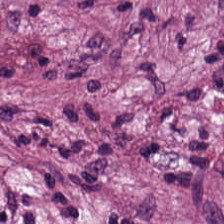H&E patch showing cancer-associated stroma.
